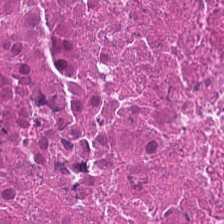H&E · 0.5 µm per pixel · 224×224 pixel tile. Histology — debris.
